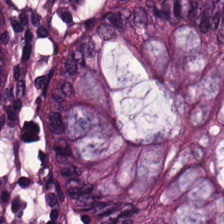Hematoxylin-and-eosin stained section — This patch shows normal colon mucosa.
